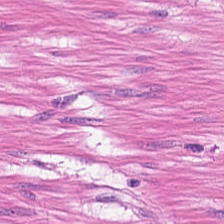WSI patch · H&E. Q: Classify this patch.
A: Smooth-muscle tissue.
